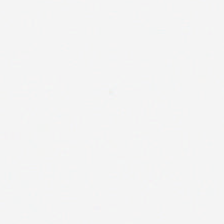0.5 microns per pixel. WSI patch. H&E. The content is background (no tissue).
